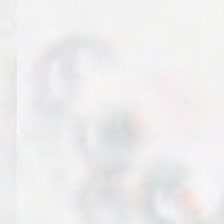Hematoxylin-and-eosin stained section; brightfield. Content — empty background.
